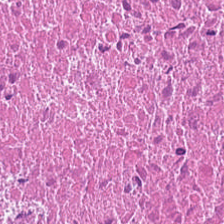Hematoxylin and eosin — This patch shows debris.
